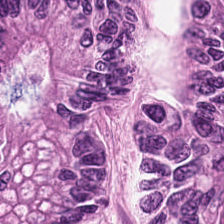H&E stain. 224×224 px patch. Formalin-fixed paraffin-embedded section — The predominant tissue is malignant epithelium.
